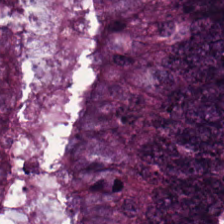Hematoxylin and eosin.
Predominantly adenocarcinoma.
